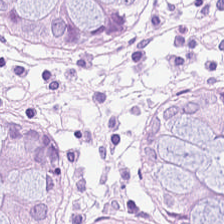Formalin-fixed paraffin-embedded section · 0.5 µm per pixel · H&E stain — Classification = normal colonic mucosa.
